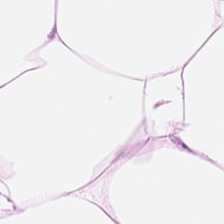H&E stain. The tissue class is adipose.
